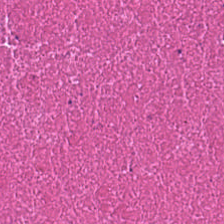Hematoxylin-and-eosin stained section — This patch shows cellular debris.
